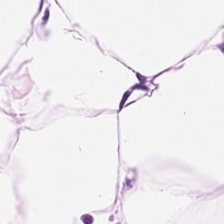Histology — fat tissue.
